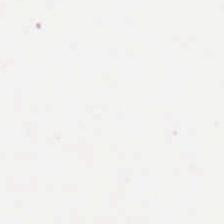FFPE; WSI patch; H&E stain — Background (no tissue).
